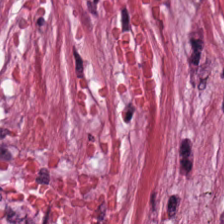0.5 µm per pixel · H&E — Tissue class — desmoplastic stroma.
